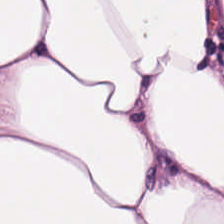Classification = adipose tissue.
